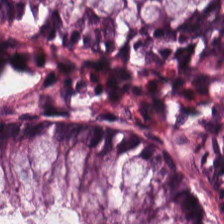The predominant tissue is benign colonic mucosa.
